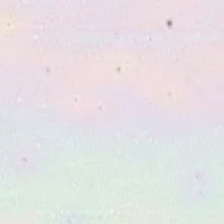Stain: H&E.
Content: empty background.
